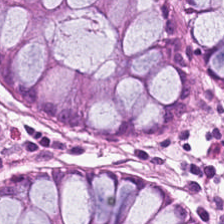Hematoxylin and eosin · 20× equivalent magnification — Non-neoplastic colon mucosa.
